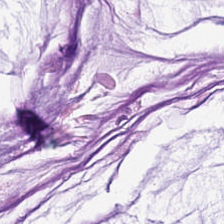H&E patch showing mucin.
